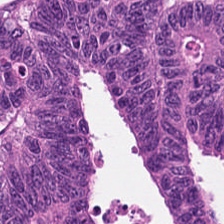Hematoxylin and eosin; formalin-fixed paraffin-embedded section; brightfield — Finding — tumor epithelium.
